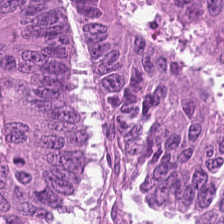Predominant tissue: colorectal adenocarcinoma epithelium.
